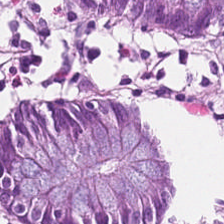FFPE; H&E stain; whole-slide-image patch. Finding — normal colonic mucosa.
